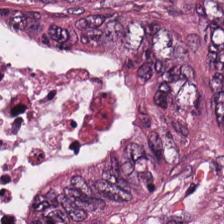Hematoxylin and eosin · WSI patch — Predominant tissue = colorectal adenocarcinoma epithelium.
